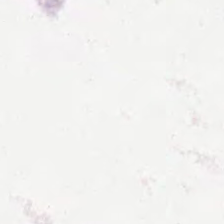Stain: H&E-stained tissue section.
Content: background.
